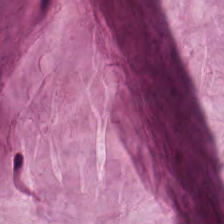0.5 µm/px. H&E.
Q: What type of tissue is this?
A: This is extracellular mucin.
